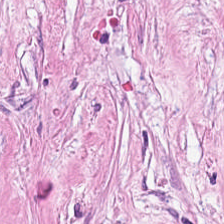Cancer-associated stroma.
